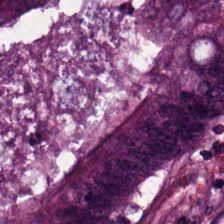Hematoxylin-and-eosin stained section. The tissue here is colorectal adenocarcinoma epithelium.
